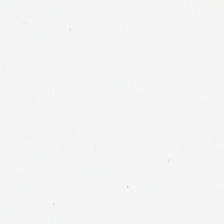0.5 µm/px. 224×224 px patch. H&E-stained tissue section.
Classification: no tissue.
